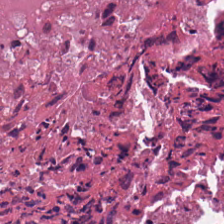Hematoxylin-and-eosin section: cellular debris.
